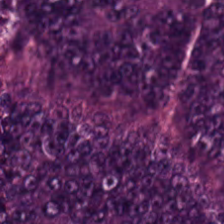Hematoxylin and eosin. 20× equivalent magnification. 224×224 px tile — Predominantly colorectal adenocarcinoma epithelium.
